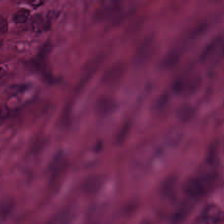H&E. 0.5 µm/px — The tissue here is desmoplastic stroma.
